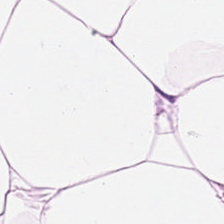Formalin-fixed paraffin-embedded section; brightfield; H&E-stained tissue section — Q: What type of tissue is this?
A: Adipose.
